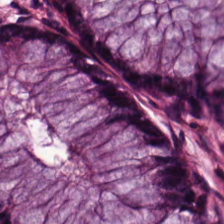Hematoxylin-and-eosin stained section — Tissue class — non-neoplastic colon mucosa.
